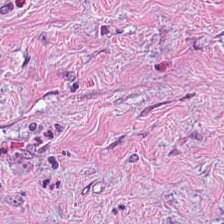20× equivalent magnification · hematoxylin-and-eosin stained section. Classification = tumor-associated stroma.
